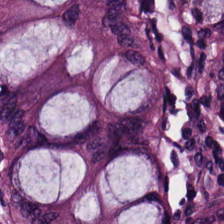FFPE tissue section; 224×224 px patch; H&E. Tissue class — non-neoplastic colon mucosa.
